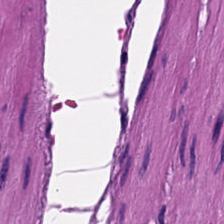Formalin-fixed paraffin-embedded section; H&E. Classification: muscularis.
